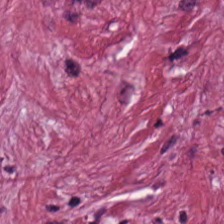Stain: H&E-stained tissue section.
Tile size: 224×224 px patch.
Resolution: 0.5 µm per pixel.
Tissue: desmoplastic stroma.
